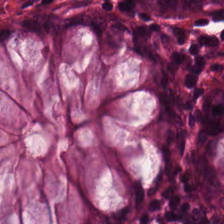H&E-stained tissue section — Q: What is shown in this field?
A: Benign colonic mucosa.
